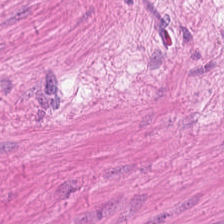Hematoxylin-and-eosin stained section; formalin-fixed paraffin-embedded section; 0.5 µm per pixel.
Q: What tissue type is shown here?
A: It is muscularis.
